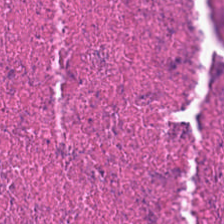H&E-stained tissue section; 0.5 microns per pixel. Q: What is shown in this field?
A: This is debris.
